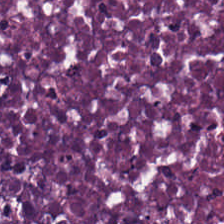Stain: H&E-stained tissue section.
Tissue: necrotic debris.
